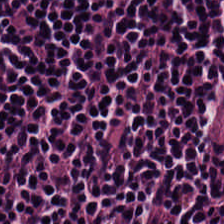H&E · FFPE · whole-slide-image patch.
The predominant tissue is lymphoid infiltrate.
